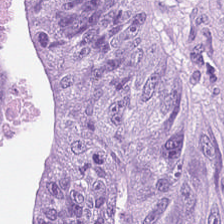Hematoxylin-and-eosin section: malignant epithelium.
